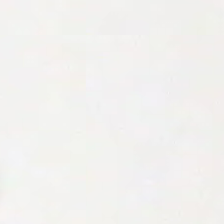H&E stain. Q: What is shown in this field?
A: This is no tissue.
